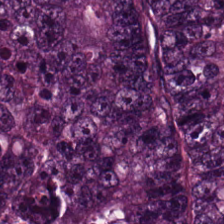H&E stain; 224×224 pixel tile. Q: Identify the tissue.
A: Adenocarcinoma.
